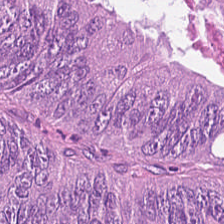Q: What is shown here?
A: Tumor epithelium.
